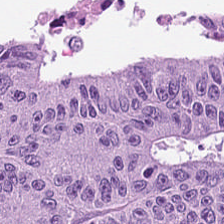Hematoxylin and eosin.
Malignant epithelium.
